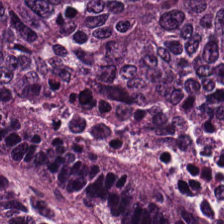H&E-stained tissue section showing colorectal adenocarcinoma.
